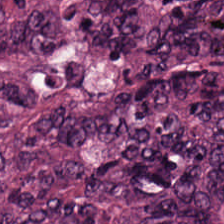Hematoxylin-and-eosin stained section; brightfield microscopy — Q: What tissue is shown?
A: This is colorectal adenocarcinoma epithelium.
